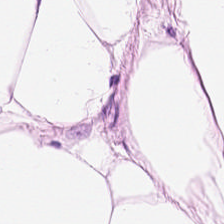Brightfield microscopy · hematoxylin-and-eosin stained section — This field is fat tissue.
